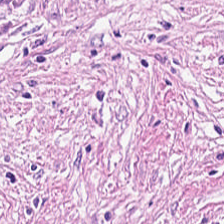Hematoxylin-and-eosin stained section. {"tissue_type": "desmoplastic stroma"}
